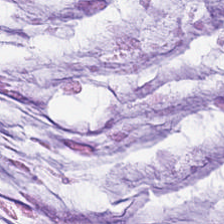H&E. FFPE tissue section. Showing mucus.
